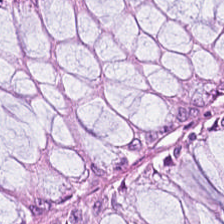Hematoxylin and eosin. {"tissue_type": "normal colon mucosa"}
